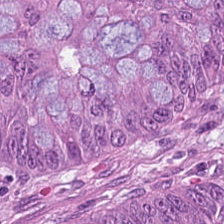Hematoxylin and eosin. 224×224 pixel tile.
{"tissue_type": "malignant epithelium"}
